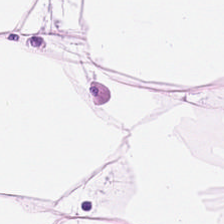H&E-stained tissue section. Q: Classify this patch.
A: The field shows fat tissue.
